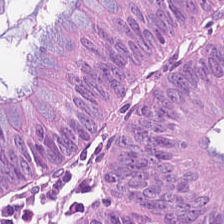Brightfield microscopy · H&E-stained tissue section · 224×224 px tile. Q: What is shown in this field?
A: Colorectal adenocarcinoma.
